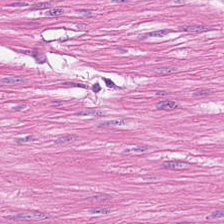H&E stain. Q: Classify this patch.
A: The field shows muscularis.
